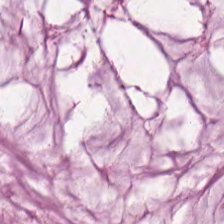H&E. Mucus.
